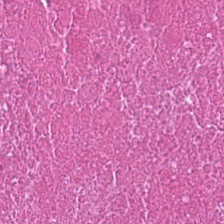0.5 µm/px · hematoxylin-and-eosin stained section · 224×224 px patch. Showing debris.
